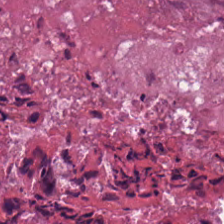0.5 µm per pixel; hematoxylin and eosin; whole-slide-image patch.
This field is cellular debris.
